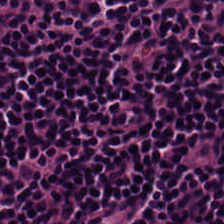Predominantly lymphocyte aggregate.
